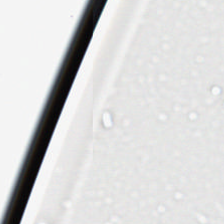This field is background (no tissue).
